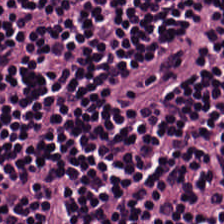H&E. Finding → lymphocytic infiltrate.
